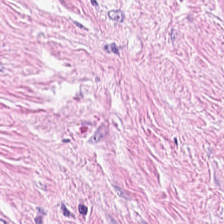Stain: H&E-stained tissue section.
Predominant tissue: cancer-associated stroma.
